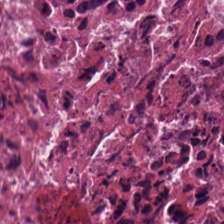This patch shows necrotic debris.
